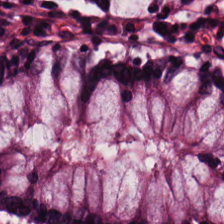Stain: hematoxylin and eosin.
Tissue: benign colonic mucosa.
